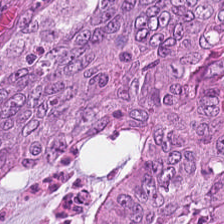Finding — tumor epithelium.
